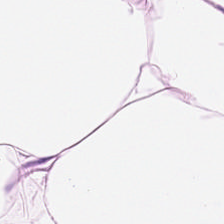H&E-stained tissue section. 224×224 px tile.
Predominant tissue: adipocytes.
